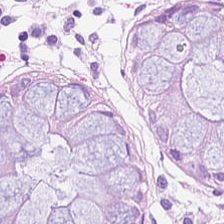Hematoxylin-and-eosin stained section · WSI patch · 224×224 px tile. Impression → benign colonic mucosa.
